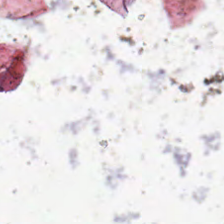No tissue present; background only.
